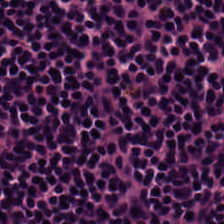Stain: H&E stain.
Resolution: 0.5 µm/px.
Predominant tissue: lymphoid infiltrate.
